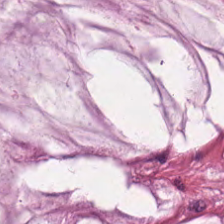H&E-stained tissue section.
Tissue type — mucin.
